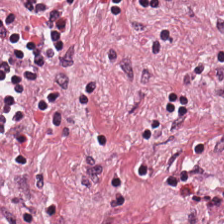H&E; 0.5 µm/px; 224×224 pixel tile. Showing cancer-associated stroma.
